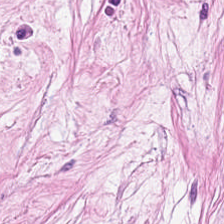224×224 px patch. H&E. FFPE. Tissue — tumor stroma.
